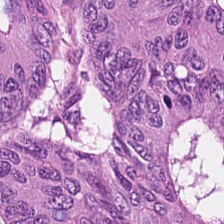Hematoxylin-and-eosin stained section — Histology → tumor epithelium.
